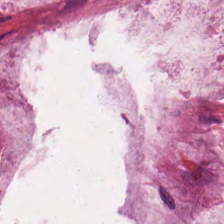0.5 µm/px. H&E. 224×224 pixel tile — This patch shows mucus.
